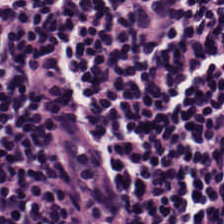Whole-slide-image patch; 0.5 µm per pixel; hematoxylin and eosin. Tissue — lymphocytic infiltrate.
